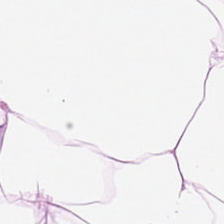H&E. Q: What tissue type is shown here?
A: It is adipose tissue.
